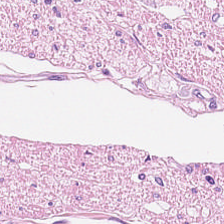Hematoxylin and eosin. Histology — smooth-muscle tissue.
